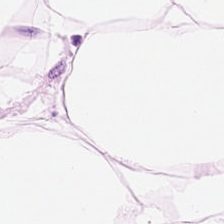Hematoxylin-and-eosin stained section — {"tissue_type": "adipose"}
